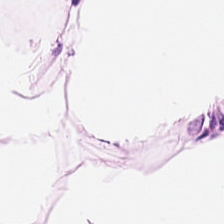Finding → adipose.
